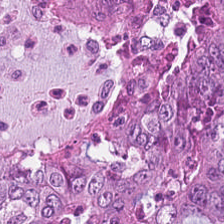H&E-stained tissue section.
Showing tumor epithelium.
